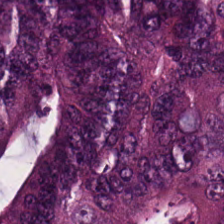Stain: H&E-stained tissue section.
Acquisition: brightfield.
Tissue type: tumor epithelium.
